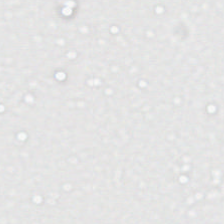H&E-stained tissue section. 0.5 microns per pixel.
Field content: background.
